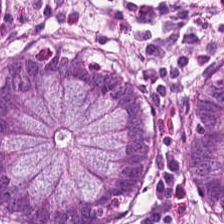Q: Classify this patch.
A: This is non-neoplastic colon mucosa.
